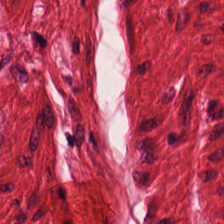224×224 pixel tile · hematoxylin and eosin · formalin-fixed paraffin-embedded section.
Tissue class — smooth-muscle tissue.
